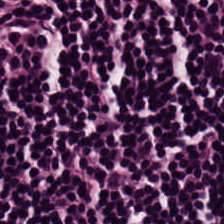Q: What tissue type is shown here?
A: This is lymphocyte aggregate.
